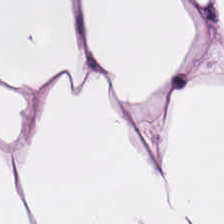Formalin-fixed paraffin-embedded section · hematoxylin and eosin — Predominant tissue = adipose tissue.
